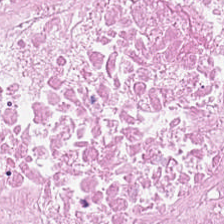Q: What type of tissue is this?
A: It is cellular debris.
